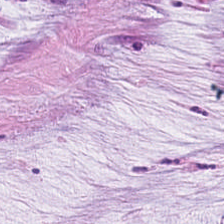H&E — Tissue class: extracellular mucin.
